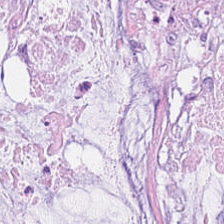H&E stain. This field is mucus.
